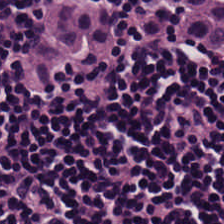Showing lymphocyte aggregate.
